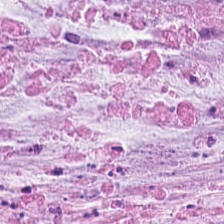H&E-stained tissue section. Finding → mucus.
